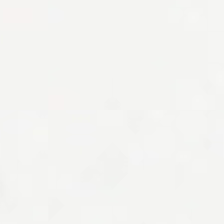Hematoxylin-and-eosin stained section. 224×224 px patch — This field is background (no tissue).
